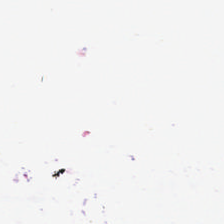H&E — Q: What does this patch show?
A: Background.
